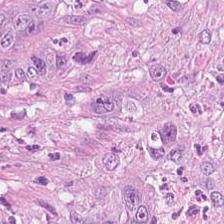H&E stain — This field is adenocarcinoma.
